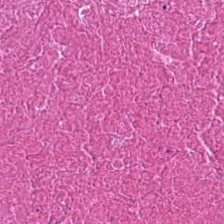224×224 px patch; hematoxylin-and-eosin stained section — Debris.
